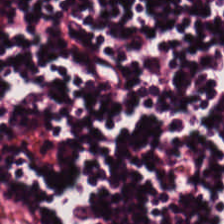Hematoxylin-and-eosin stained section. Showing lymphoid infiltrate.
